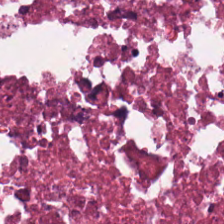FFPE; H&E; 0.5 µm/px.
Predominant tissue: debris.
